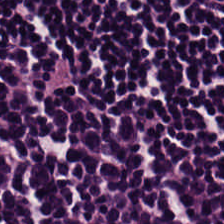Formalin-fixed paraffin-embedded section · H&E · 224×224 px tile — Q: What tissue is shown?
A: The field shows lymphocytes.
